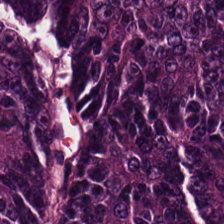The tissue is colorectal adenocarcinoma epithelium.
